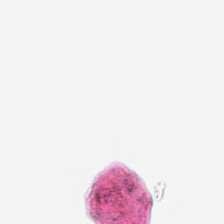Hematoxylin and eosin. Q: What is shown here?
A: The field shows background (no tissue).
